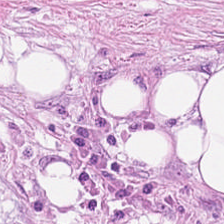H&E-stained tissue section.
Q: What is shown in this field?
A: This is tumor stroma.
